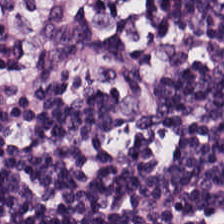H&E.
{"tissue_type": "lymphocyte aggregate"}
